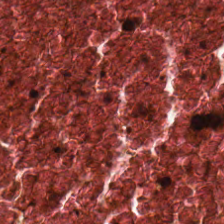H&E — {"tissue_type": "cellular debris"}
